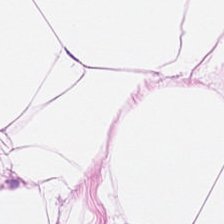Hematoxylin-and-eosin stained section.
Tissue = adipose.
